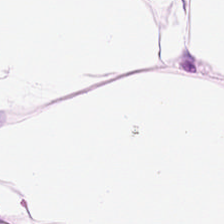H&E-stained tissue section.
The tissue type is adipocytes.
